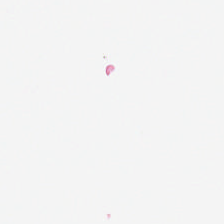Hematoxylin and eosin. Formalin-fixed paraffin-embedded section. Background — no tissue in this field.
